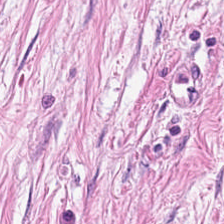224×224 px patch. Hematoxylin and eosin — Showing cancer-associated stroma.
